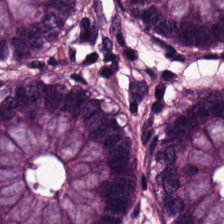H&E — Q: Identify the tissue.
A: Normal colonic mucosa.
